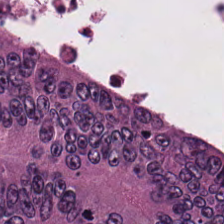H&E. 224×224 pixel tile — Predominantly colorectal adenocarcinoma.
